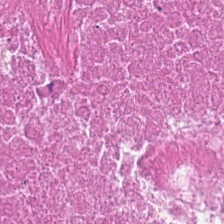20× equivalent magnification. H&E. Tissue = necrotic debris.
